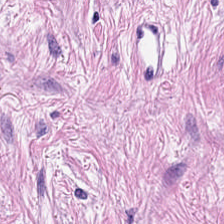Hematoxylin-and-eosin section: tumor-associated stroma.
